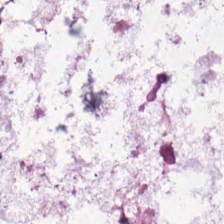H&E — Finding — mucin.
